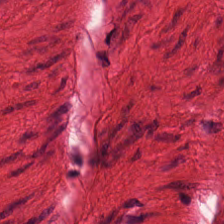Hematoxylin and eosin.
{"tissue_type": "muscularis"}
